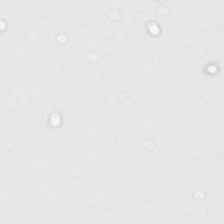Stain: H&E stain.
Content: empty background.
